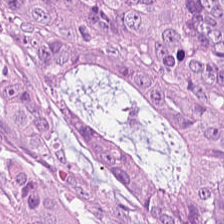H&E-stained section; the field shows colorectal adenocarcinoma epithelium.
